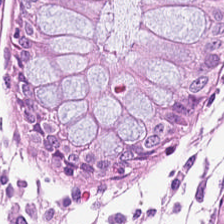The predominant tissue is non-neoplastic colon mucosa.
